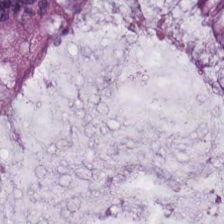Hematoxylin and eosin; whole-slide-image patch — Showing benign colonic mucosa.
